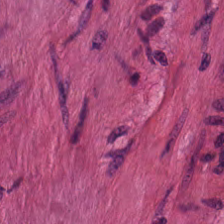Tissue — smooth-muscle tissue.
